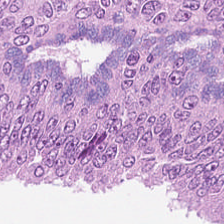WSI patch; H&E-stained tissue section; 0.5 µm per pixel — This patch shows colorectal adenocarcinoma.
